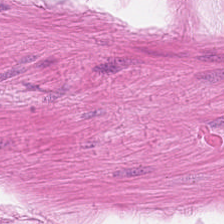Stain: hematoxylin-and-eosin stained section.
Tissue class: muscularis.
